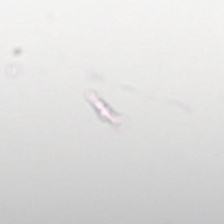Hematoxylin and eosin.
This patch shows no tissue.
